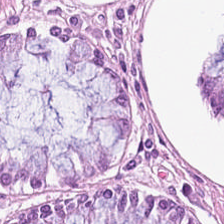224×224 px tile; hematoxylin-and-eosin stained section. Q: Identify the tissue.
A: This is non-neoplastic colon mucosa.
